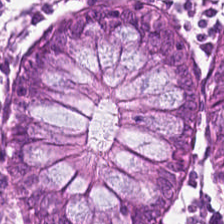The classification is benign colonic mucosa.
